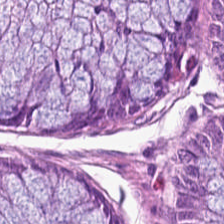H&E stain.
The tissue here is normal colonic mucosa.
